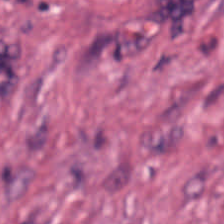224×224 pixel tile; formalin-fixed paraffin-embedded section; H&E — Q: Identify the tissue.
A: It is tumor stroma.
